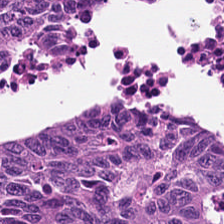Impression — tumor epithelium.
